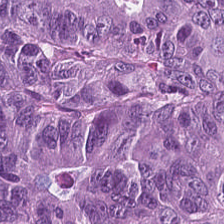224×224 pixel tile · H&E. Q: What is the predominant tissue type?
A: The field shows colorectal adenocarcinoma epithelium.
